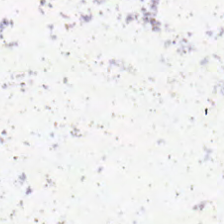Hematoxylin and eosin · FFPE tissue section.
No tissue present; background only.
